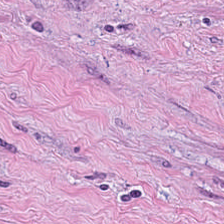224×224 pixel tile · hematoxylin-and-eosin stained section.
Tissue type = tumor stroma.
